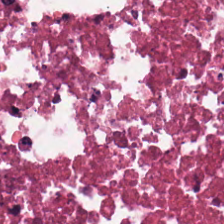H&E stain.
Q: What tissue is shown?
A: The field shows cellular debris.
